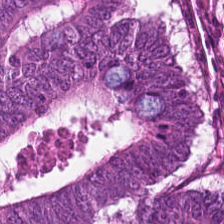Hematoxylin-and-eosin stained section. 224×224 pixel tile — Tissue type — colorectal adenocarcinoma.
